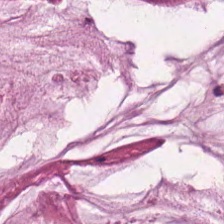H&E stain · 224×224 px patch. Tissue class: mucus.
